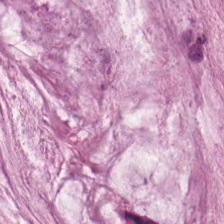H&E stain.
Q: Identify the tissue.
A: This is extracellular mucin.
